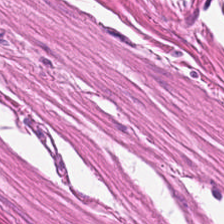H&E stain. Q: What is shown here?
A: This is smooth-muscle tissue.
